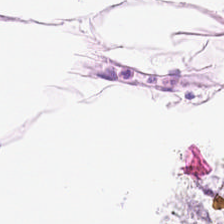Hematoxylin and eosin. FFPE. {"tissue_type": "adipose tissue"}
